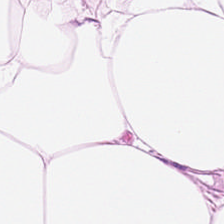Brightfield; hematoxylin and eosin; 0.5 µm/px. Finding — adipose.
